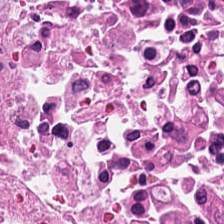The predominant tissue is debris.
